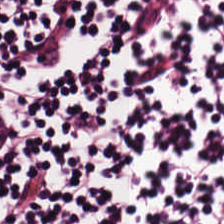0.5 µm/px. Hematoxylin-and-eosin stained section — Predominantly lymphocyte aggregate.
